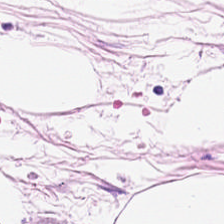H&E stain. Histology → adipocytes.
